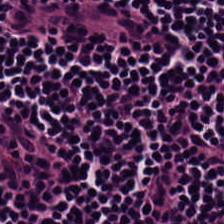224×224 px patch; hematoxylin-and-eosin stained section.
Showing lymphocyte aggregate.
